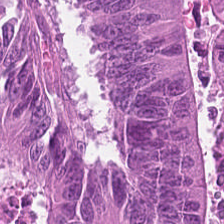Tissue — colorectal adenocarcinoma epithelium.
